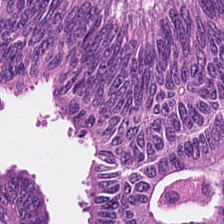Classification — colorectal adenocarcinoma epithelium.
